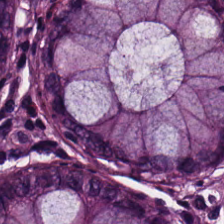FFPE · H&E.
The predominant tissue is benign colonic mucosa.
